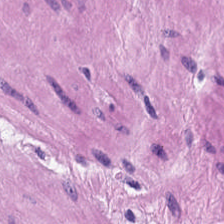Hematoxylin and eosin — This field is muscularis.
